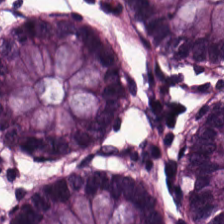224×224 px tile; hematoxylin and eosin; brightfield — This patch shows normal colon mucosa.
